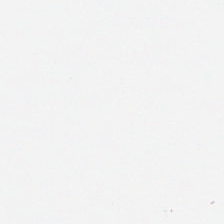Hematoxylin and eosin — This patch shows background (no tissue).
